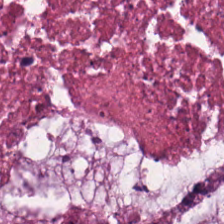Hematoxylin-and-eosin stained section. 224×224 pixel tile.
Predominantly necrotic debris.
